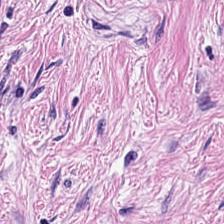Hematoxylin and eosin. 224×224 pixel tile — The tissue class is tumor stroma.
